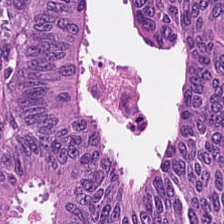Hematoxylin-and-eosin stained section.
Finding — tumor epithelium.
